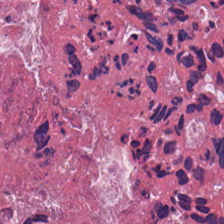Hematoxylin-and-eosin stained section. Impression → necrotic debris.
